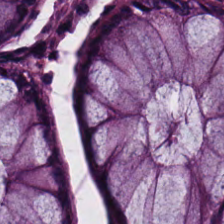Brightfield microscopy; FFPE; hematoxylin-and-eosin stained section — Q: What tissue type is shown here?
A: It is normal colon mucosa.
